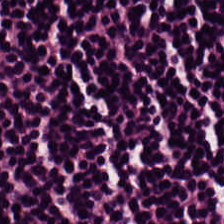Hematoxylin and eosin · 224×224 px patch. This patch shows lymphocytes.
